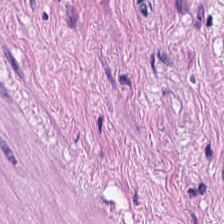Hematoxylin-and-eosin stained section.
Q: What is the predominant tissue type?
A: This is smooth-muscle tissue.
